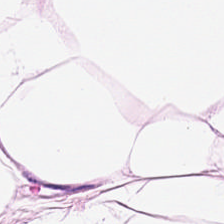Hematoxylin-and-eosin section: fat tissue.
